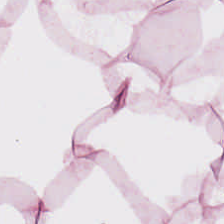0.5 µm per pixel; H&E-stained tissue section.
Fat tissue.
